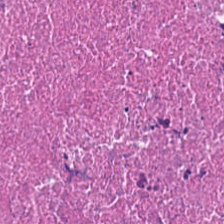H&E stain. Tissue = debris.
